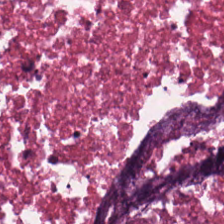H&E; 0.5 µm/px.
Q: What does this patch show?
A: Necrotic debris.
